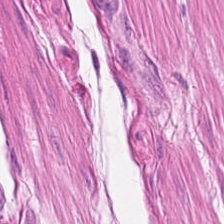Showing smooth-muscle tissue.
